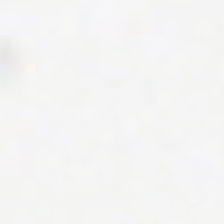H&E — Content: empty background.
